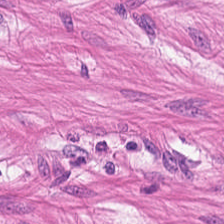This patch shows smooth-muscle tissue.
